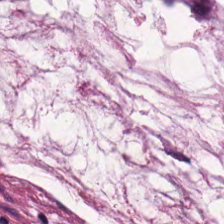H&E stain — Q: Classify this patch.
A: The field shows extracellular mucin.
